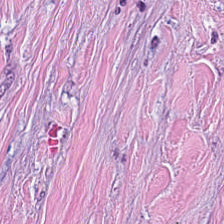Hematoxylin-and-eosin stained section — The predominant tissue is tumor stroma.
